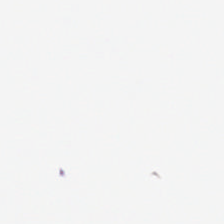Field content: background (no tissue).
